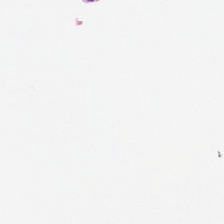Stain: H&E stain.
Resolution: 0.5 µm per pixel.
Acquisition: brightfield.
Classification: background.
